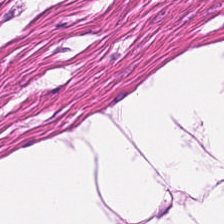H&E stain; FFPE; brightfield microscopy — Q: What is the predominant tissue type?
A: This is muscularis.
